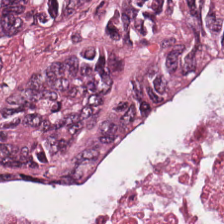Stain: H&E stain.
Predominant tissue: malignant epithelium.
